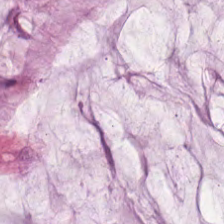Brightfield microscopy · H&E. Q: What tissue type is shown here?
A: This is mucus.
